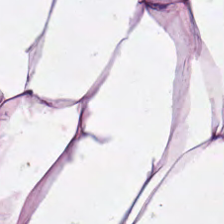0.5 µm/px. H&E stain — Tissue — adipocytes.
